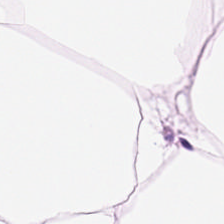Hematoxylin and eosin. 0.5 microns per pixel. 224×224 px patch.
Q: Classify this patch.
A: This is fat tissue.
